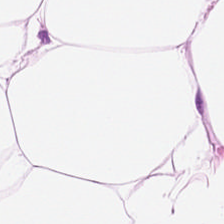The tissue here is adipose.
